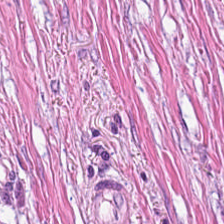The tissue is desmoplastic stroma.
